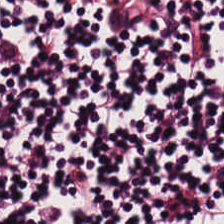FFPE · H&E stain — The tissue is lymphocyte aggregate.
